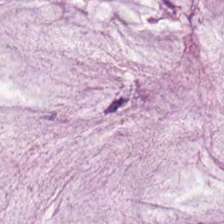Stain: H&E stain.
Tissue class: mucin.
